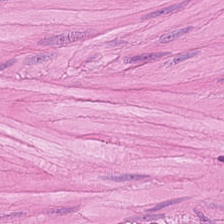{"tissue_type": "muscularis"}
